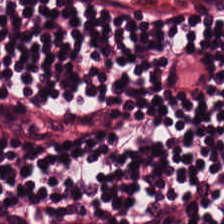H&E-stained tissue section. Q: What type of tissue is this?
A: Lymphocytic infiltrate.
